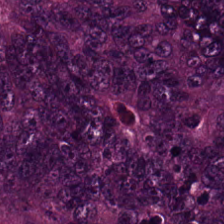H&E stain · brightfield microscopy.
Tissue type — tumor epithelium.
